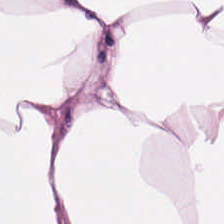Stain: H&E.
Tissue type: fat tissue.
